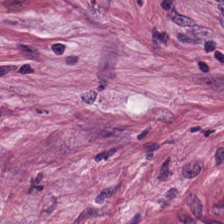H&E-stained tissue section — Q: What is shown in this field?
A: The field shows desmoplastic stroma.
